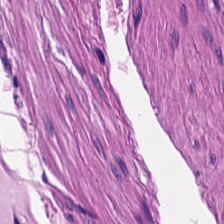Hematoxylin and eosin. Tissue type = smooth-muscle tissue.
